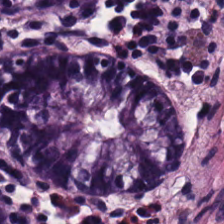H&E. Q: What is the predominant tissue type?
A: The field shows normal colonic mucosa.
